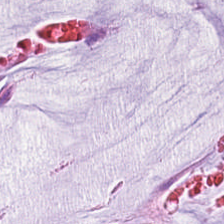H&E — This field is mucin.
